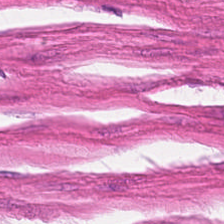The tissue class is smooth muscle.
